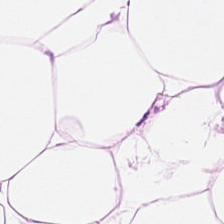H&E · FFPE tissue section. Predominantly adipocytes.
